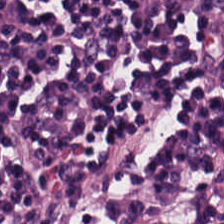H&E stain. Brightfield microscopy — Showing lymphocytes.
